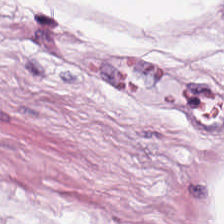Hematoxylin-and-eosin stained section.
Q: What tissue is shown?
A: Adipocytes.
